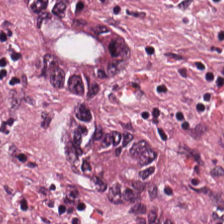Hematoxylin-and-eosin stained section. This patch shows tumor epithelium.
